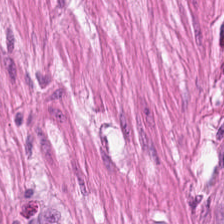H&E-stained tissue section.
Classification — smooth-muscle tissue.
